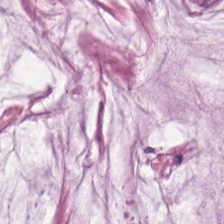Hematoxylin-and-eosin stained section · FFPE.
Classification = mucin.
